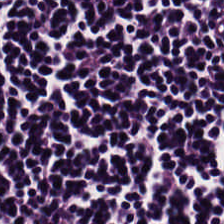0.5 µm per pixel · H&E stain — Tissue class = lymphocytic infiltrate.
